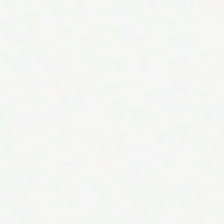H&E-stained tissue section — No tissue present; background only.
